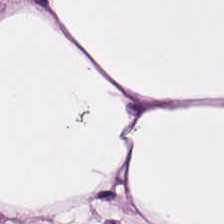This patch shows adipocytes.
